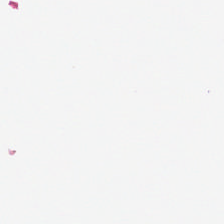Impression → no tissue.
